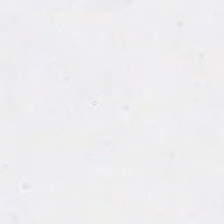H&E stain · 0.5 µm per pixel — Background — no tissue in this field.
